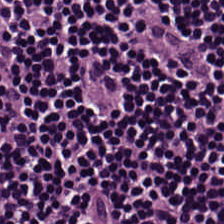H&E-stained tissue section.
This patch shows lymphoid infiltrate.
